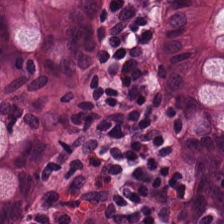0.5 microns per pixel. FFPE. H&E-stained tissue section — The classification is normal colonic mucosa.
